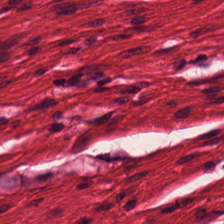Hematoxylin-and-eosin stained section; WSI patch.
Classification — muscularis.
